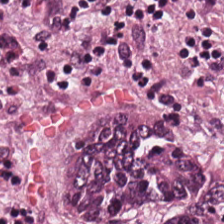H&E.
Q: What tissue is shown?
A: Adenocarcinoma.
